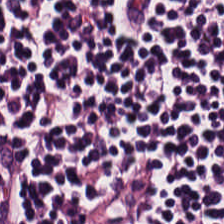Formalin-fixed paraffin-embedded section; 0.5 microns per pixel; H&E.
The predominant tissue is lymphocytic infiltrate.
